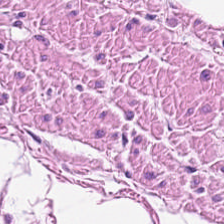Hematoxylin-and-eosin stained section. FFPE. 224×224 px tile — The tissue type is smooth-muscle tissue.
